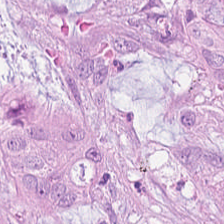Formalin-fixed paraffin-embedded section. H&E-stained tissue section. {"tissue_type": "tumor epithelium"}
